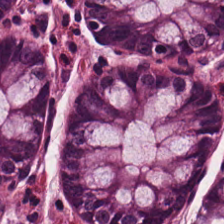Hematoxylin-and-eosin stained section. Non-neoplastic colon mucosa.
